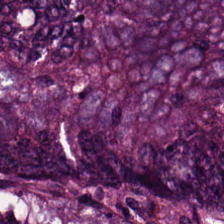Hematoxylin-and-eosin stained section.
Predominantly malignant epithelium.
